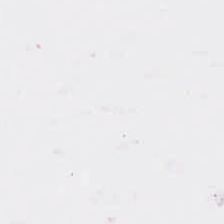Formalin-fixed paraffin-embedded section. H&E stain — No tissue present; background only.
